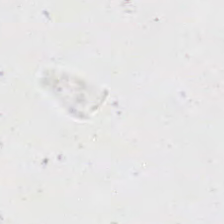0.5 µm per pixel; H&E-stained tissue section; 224×224 px patch. Q: Classify this patch.
A: No tissue.
